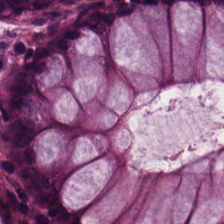Hematoxylin and eosin — The predominant tissue is normal colon mucosa.
